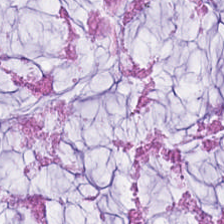H&E stain.
Histology — mucus.
